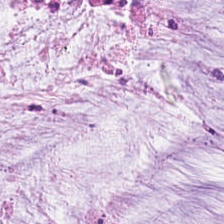Hematoxylin and eosin; 224×224 pixel tile.
Mucus.
